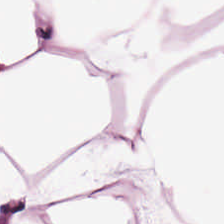H&E.
This patch shows adipose tissue.
